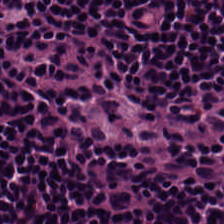Hematoxylin and eosin — Predominant tissue = lymphocyte aggregate.
